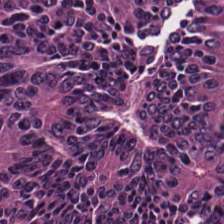H&E · FFPE tissue section. {"tissue_type": "malignant epithelium"}
